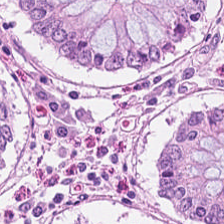H&E. Q: What tissue type is shown here?
A: This is normal colon mucosa.
